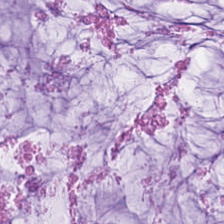Q: What does this patch show?
A: It is mucus.
